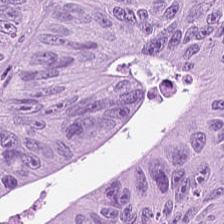H&E-stained tissue section. Predominantly tumor epithelium.
